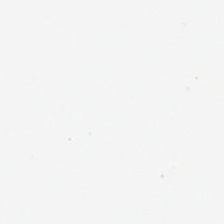Stain: hematoxylin and eosin.
Content: no tissue.
